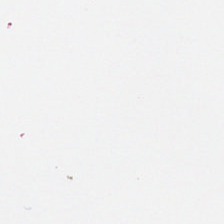H&E stain. 20× equivalent magnification.
Background.
